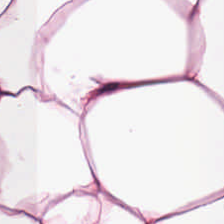Hematoxylin and eosin; FFPE. Q: What is shown here?
A: Adipocytes.
